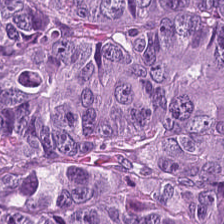The classification is malignant epithelium.
